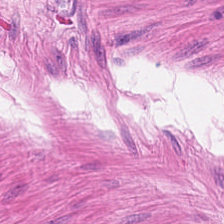Q: What does this patch show?
A: It is smooth muscle.
